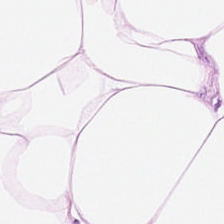H&E stain. Adipose tissue.
